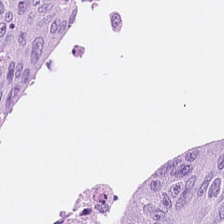20× equivalent magnification. H&E. The tissue here is adenocarcinoma.
